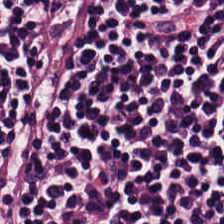0.5 µm per pixel. Hematoxylin and eosin. Q: What type of tissue is this?
A: The field shows lymphocytes.
